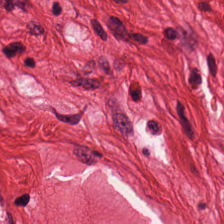Hematoxylin and eosin — Showing smooth muscle.
